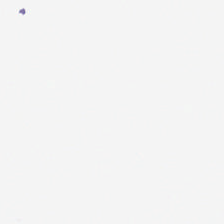H&E stain. Background — no tissue in this field.
